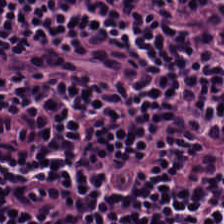The tissue class is lymphocytic infiltrate.
